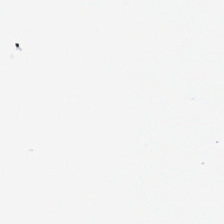Hematoxylin and eosin — Empty field — no tissue.
